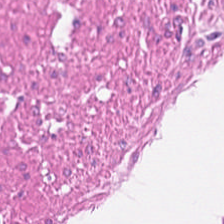H&E stain — Finding → smooth-muscle tissue.
